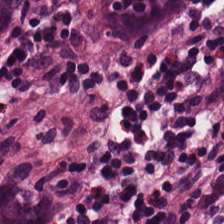Hematoxylin and eosin. Histology — normal colon mucosa.
